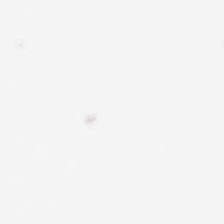H&E. No tissue present; background only.
